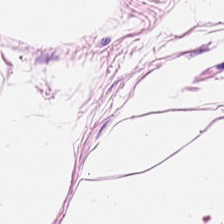Tissue type: adipose.
